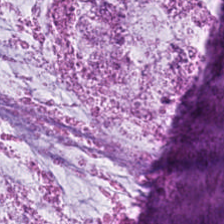H&E stain.
Tissue = mucus.
